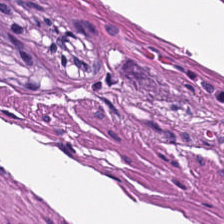Hematoxylin-and-eosin stained section.
Smooth-muscle tissue.
